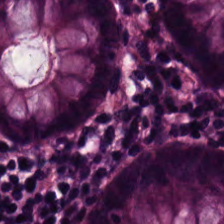Stain: H&E-stained tissue section.
Tile size: 224×224 pixel tile.
Tissue type: normal colon mucosa.
